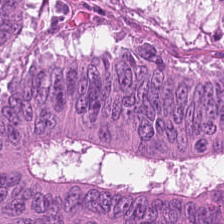Stain: H&E-stained tissue section.
Tissue class: colorectal adenocarcinoma.
